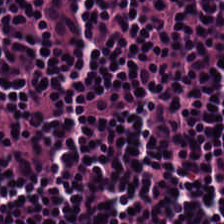H&E stain · 224×224 px patch · 0.5 µm/px. Tissue — lymphocytic infiltrate.
